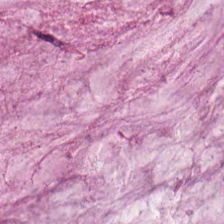H&E-stained tissue section. FFPE. Brightfield microscopy — Q: What tissue type is shown here?
A: Mucus.
